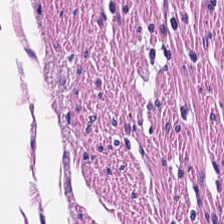H&E; whole-slide-image patch; FFPE tissue section — Smooth muscle.
